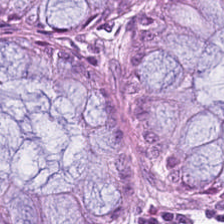Stain: hematoxylin-and-eosin stained section.
Predominant tissue: normal colonic mucosa.
